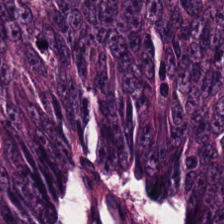H&E stain. Q: Identify the tissue.
A: The field shows malignant epithelium.
